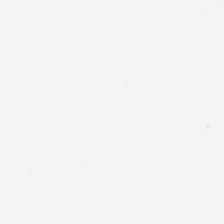H&E — Content: background (no tissue).
